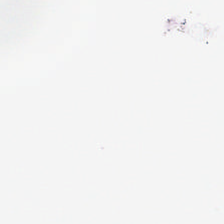H&E. 224×224 pixel tile. Brightfield.
This patch shows no tissue.
